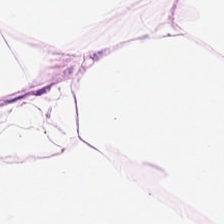Brightfield. H&E stain. Showing adipose tissue.
